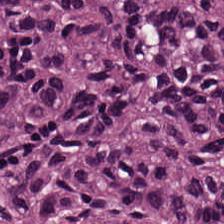Stain: hematoxylin and eosin.
Preparation: FFPE tissue section.
Tile size: 224×224 px tile.
Tissue type: adenocarcinoma.
